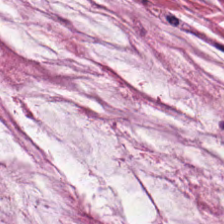{"tissue_type": "mucus"}
